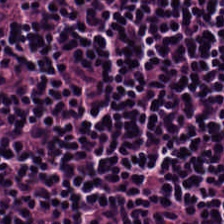Hematoxylin and eosin.
Predominant tissue: lymphocytes.
